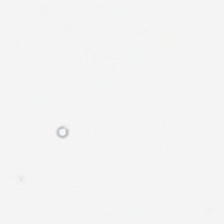Stain: H&E stain.
Content: empty background.
